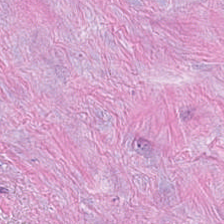Showing tumor-associated stroma.
